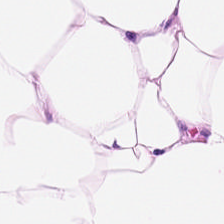224×224 px patch; H&E.
Predominantly fat tissue.
